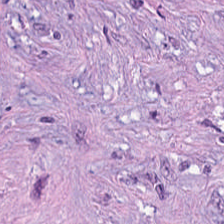Stain: H&E stain.
Tissue type: tumor-associated stroma.
